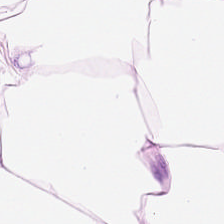Stain: hematoxylin and eosin.
Tissue: adipocytes.
